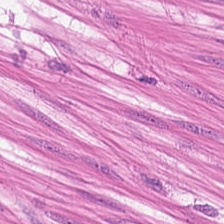H&E — Q: What is shown in this field?
A: The field shows smooth-muscle tissue.
